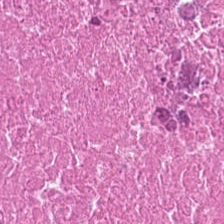Hematoxylin-and-eosin stained section.
{"tissue_type": "cellular debris"}
